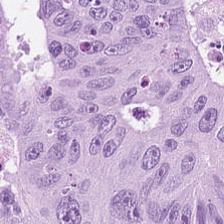Brightfield microscopy. Hematoxylin-and-eosin stained section — Q: What is the predominant tissue type?
A: Adenocarcinoma.
